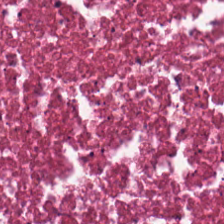Hematoxylin and eosin — Tissue class = necrotic debris.
